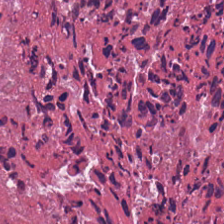Q: Classify this patch.
A: The field shows necrotic debris.
